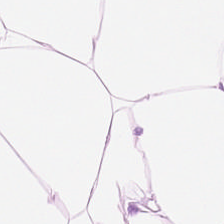H&E. Q: What tissue type is shown here?
A: The field shows adipocytes.
